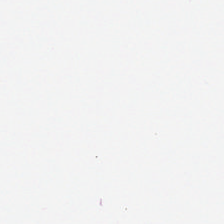H&E-stained tissue section.
Content — empty background.
